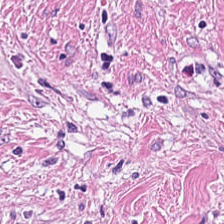Stain: hematoxylin and eosin.
Tissue: desmoplastic stroma.
